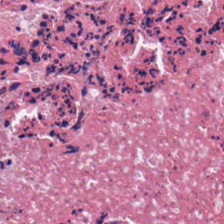H&E-stained tissue section · 224×224 px patch — Predominantly cellular debris.
